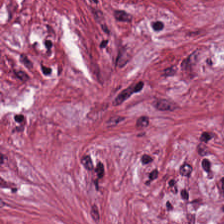224×224 px tile; brightfield microscopy; hematoxylin-and-eosin stained section — Q: What type of tissue is this?
A: It is tumor stroma.
